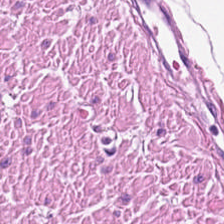H&E-stained tissue section. 20× equivalent magnification.
{"tissue_type": "muscularis"}
